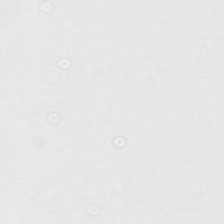224×224 px tile; WSI patch; H&E-stained tissue section — Empty field — background (no tissue).
